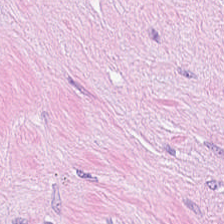Hematoxylin and eosin. 224×224 px tile.
Tissue class = tumor-associated stroma.
